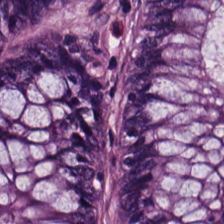20× equivalent magnification. H&E stain. Brightfield microscopy.
This patch shows normal colon mucosa.
